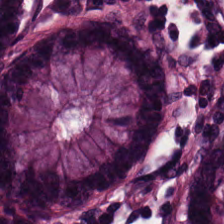H&E.
Tissue class — normal colon mucosa.
